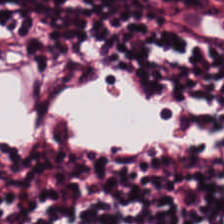Brightfield · 0.5 microns per pixel · hematoxylin and eosin.
Predominant tissue — lymphocytes.
